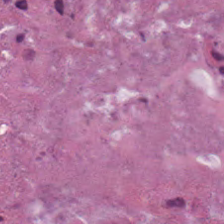20× equivalent magnification. Hematoxylin and eosin — Classification: necrotic debris.
